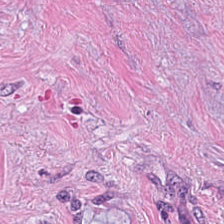H&E stain — The predominant tissue is tumor stroma.
